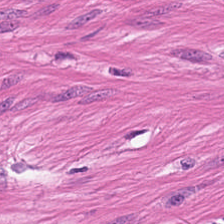224×224 px tile. WSI patch. Hematoxylin-and-eosin stained section — The tissue here is smooth muscle.
